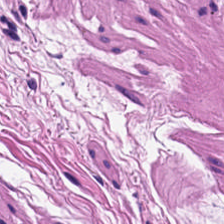Brightfield microscopy; H&E stain.
Tissue class = smooth-muscle tissue.
